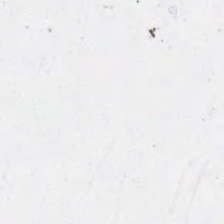0.5 µm/px · H&E stain.
Background.
